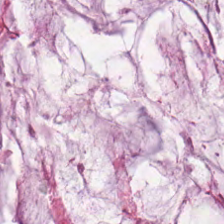Hematoxylin-and-eosin stained section — Q: Identify the tissue.
A: This is mucin.
